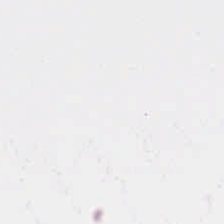Stain: H&E.
Classification: empty background.
